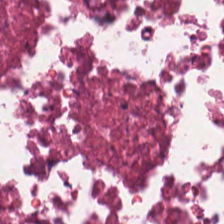H&E stain; WSI patch. The tissue class is debris.
